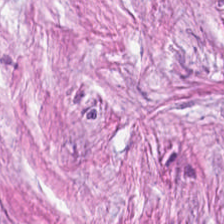H&E stain · 0.5 µm/px. Predominantly tumor stroma.
